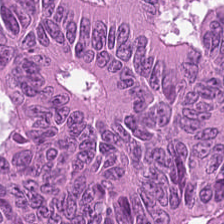H&E-stained tissue section showing colorectal adenocarcinoma epithelium.
